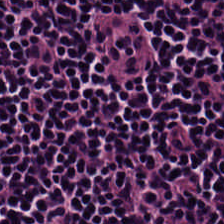Hematoxylin and eosin — Q: What tissue is shown?
A: The field shows lymphocytes.
